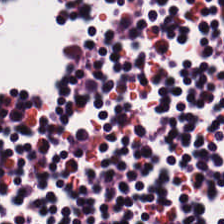H&E stain — The tissue here is lymphocytic infiltrate.
